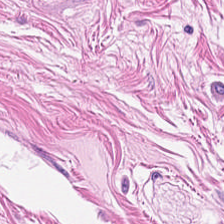0.5 microns per pixel. H&E-stained tissue section.
Showing smooth muscle.
